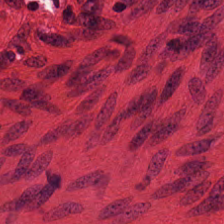WSI patch. Hematoxylin-and-eosin stained section. This field is smooth-muscle tissue.
